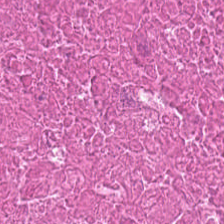Q: What type of tissue is this?
A: This is debris.
